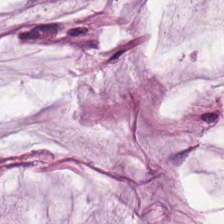Stain: hematoxylin and eosin.
Tile size: 224×224 pixel tile.
Resolution: 0.5 microns per pixel.
Tissue class: mucus.
